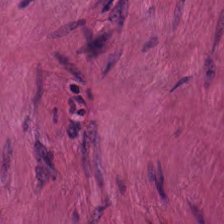Q: What type of tissue is this?
A: It is smooth muscle.
